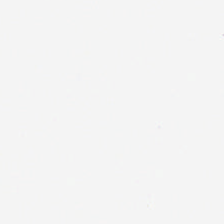H&E stain — Classification: background (no tissue).
